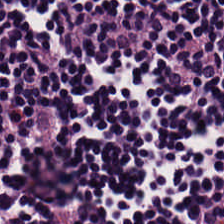Tissue = lymphocytes.
